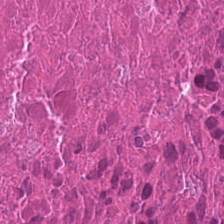Whole-slide-image patch; H&E stain.
Q: What tissue is shown?
A: It is cellular debris.
